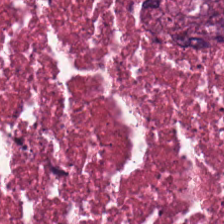H&E.
Tissue type = necrotic debris.
